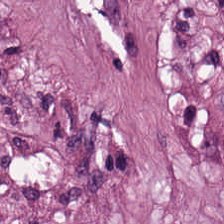Hematoxylin-and-eosin stained section. Tissue class = tumor stroma.
